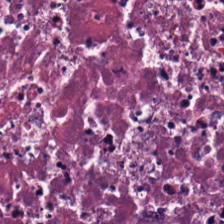224×224 px patch; H&E-stained tissue section; FFPE.
Debris.
